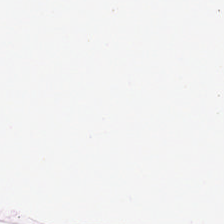H&E. Adipocytes.
